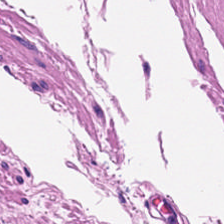H&E · 224×224 px patch.
Q: What does this patch show?
A: It is smooth-muscle tissue.
